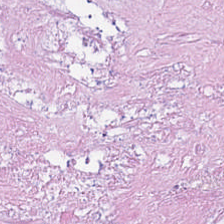Predominant tissue: necrotic debris.
